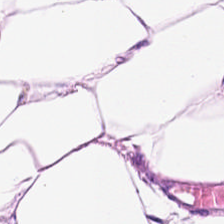Q: What is shown in this field?
A: The field shows adipose.
